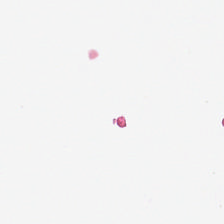Q: What is shown in this field?
A: This is empty background.
